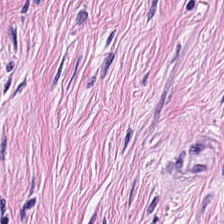The tissue is tumor-associated stroma.
